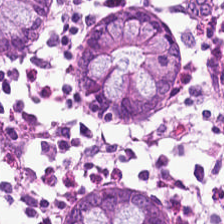H&E-stained tissue section — {"tissue_type": "normal colon mucosa"}
